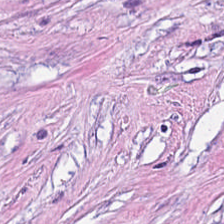Stain: hematoxylin and eosin.
Classification: tumor-associated stroma.
